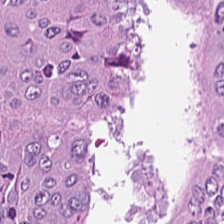Hematoxylin and eosin. Colorectal adenocarcinoma.
